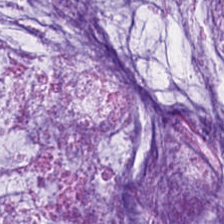Hematoxylin-and-eosin stained section.
Predominant tissue: mucin.
